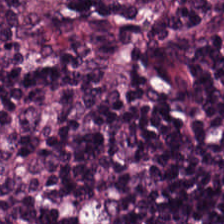H&E — Finding → lymphocytic infiltrate.
